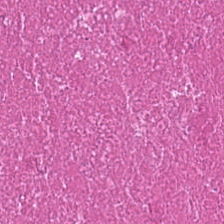Stain: H&E-stained tissue section.
Resolution: 0.5 µm per pixel.
Tile size: 224×224 px patch.
Classification: necrotic debris.
